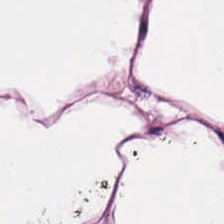Q: What tissue type is shown here?
A: This is adipose tissue.
